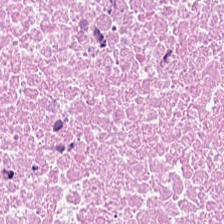Finding → cellular debris.
